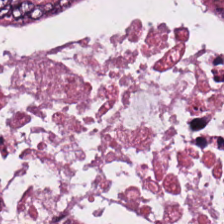Q: What is shown here?
A: It is colorectal adenocarcinoma.
